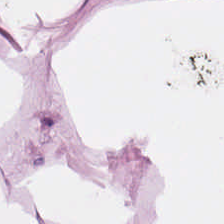Stain: H&E stain.
Tile size: 224×224 px patch.
Predominant tissue: fat tissue.
